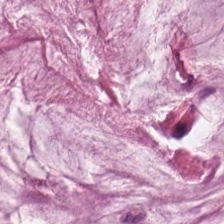Stain: H&E stain.
Tissue: mucus.
